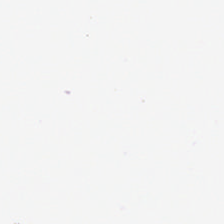The classification is no tissue.
